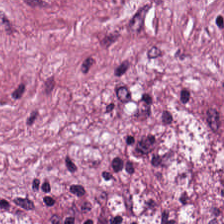Hematoxylin-and-eosin stained section.
Showing desmoplastic stroma.
